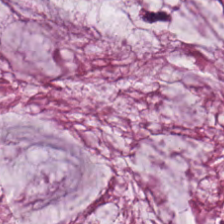Hematoxylin and eosin. 0.5 microns per pixel — Predominantly extracellular mucin.
